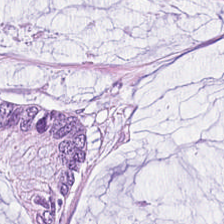H&E stain — Histology — extracellular mucin.
